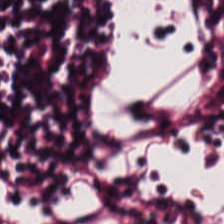Hematoxylin and eosin. Brightfield microscopy — The tissue here is lymphocyte aggregate.
